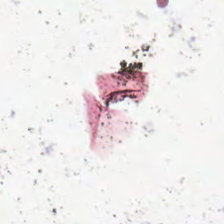H&E-stained tissue section.
Finding → background.
